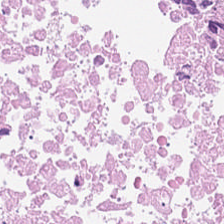H&E.
Tissue type: debris.
